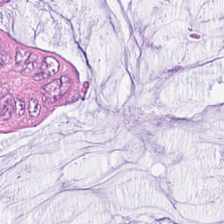224×224 px tile; H&E; 0.5 µm/px — Q: What type of tissue is this?
A: Mucus.
